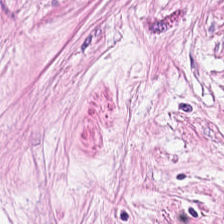FFPE · 224×224 px patch · hematoxylin-and-eosin stained section — Predominantly desmoplastic stroma.
